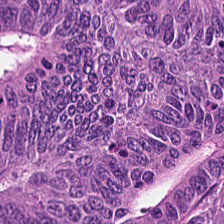Hematoxylin-and-eosin section: colorectal adenocarcinoma epithelium.
